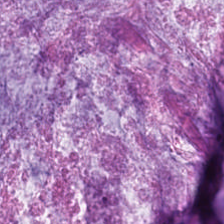Stain: H&E.
Tile size: 224×224 px tile.
Tissue class: extracellular mucin.
